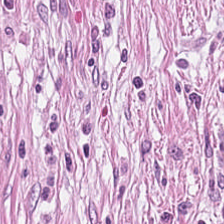Hematoxylin and eosin — The tissue type is cancer-associated stroma.
